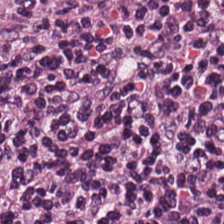H&E-stained tissue section · brightfield — This field is lymphocyte aggregate.
